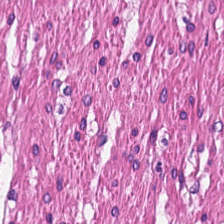Impression → smooth muscle.
